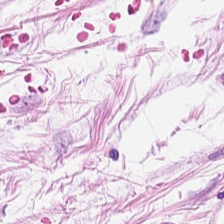Classification = adipose tissue.
